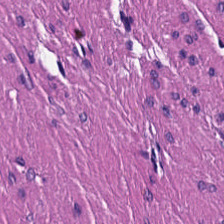0.5 µm per pixel · H&E stain — Predominantly smooth-muscle tissue.
